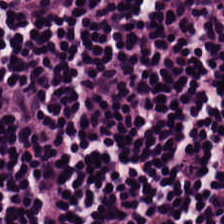H&E stain. Lymphocytes.
